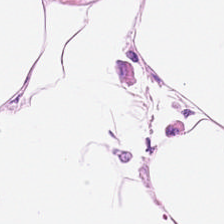FFPE tissue section. 0.5 µm/px. H&E-stained tissue section. Showing adipose tissue.
